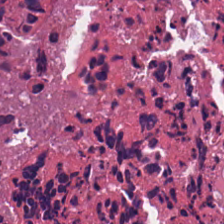Q: What is the predominant tissue type?
A: It is debris.
